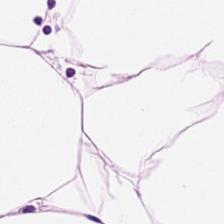H&E-stained tissue section · FFPE tissue section. Predominant tissue = adipose.
